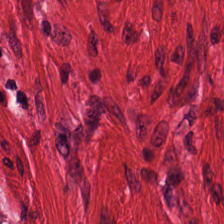Stain: hematoxylin and eosin.
Classification: muscularis.
